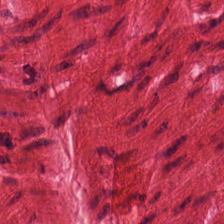Hematoxylin and eosin · WSI patch — {"tissue_type": "muscularis"}
